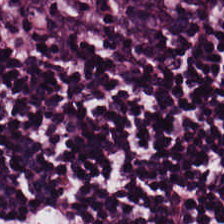H&E stain; 224×224 px patch.
Q: Identify the tissue.
A: The field shows lymphocytes.
